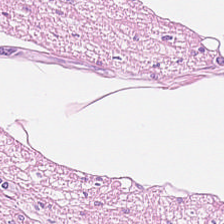H&E stain. Formalin-fixed paraffin-embedded section. The predominant tissue is smooth muscle.
